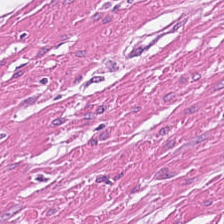H&E stain. This patch shows smooth muscle.
